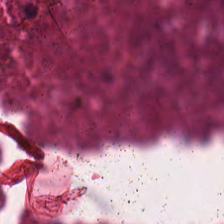H&E-stained tissue section — The predominant tissue is necrotic debris.
